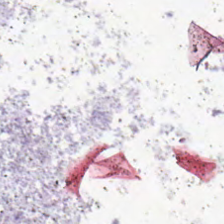Background — no tissue in this field.
